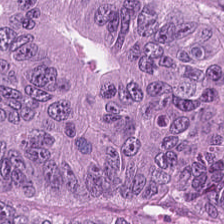224×224 px patch · brightfield · H&E.
Q: What tissue type is shown here?
A: The field shows colorectal adenocarcinoma epithelium.
